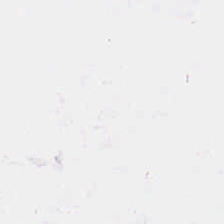H&E.
No tissue present; background only.
